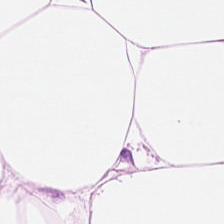Stain: H&E-stained tissue section.
Resolution: 0.5 microns per pixel.
Tile size: 224×224 pixel tile.
Tissue type: adipocytes.
